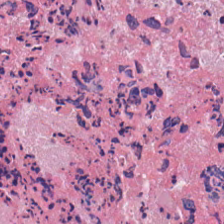Hematoxylin and eosin; 0.5 µm per pixel — {"tissue_type": "cellular debris"}
